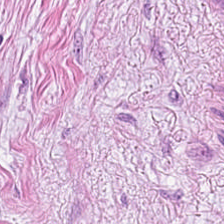WSI patch · H&E stain.
The tissue type is cancer-associated stroma.
